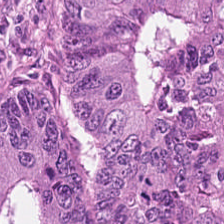FFPE · H&E stain · whole-slide-image patch.
The predominant tissue is adenocarcinoma.
